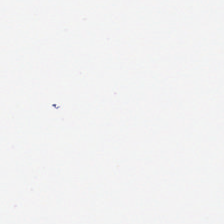Stain: hematoxylin and eosin.
Content: background (no tissue).
